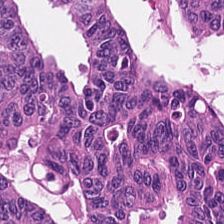20× equivalent magnification; H&E stain. The tissue here is adenocarcinoma.
